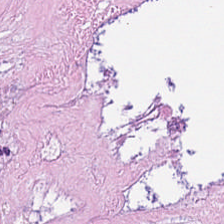Hematoxylin-and-eosin stained section. Q: What type of tissue is this?
A: This is necrotic debris.
